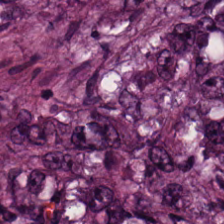{"tissue_type": "colorectal adenocarcinoma"}
